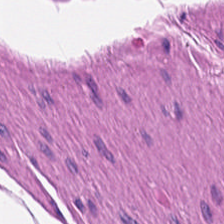Hematoxylin and eosin; FFPE — The tissue here is smooth muscle.
